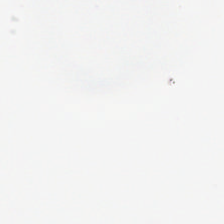No tissue present; background only.
